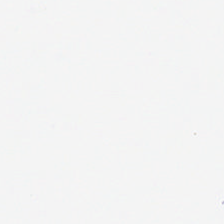Empty field — empty background.
